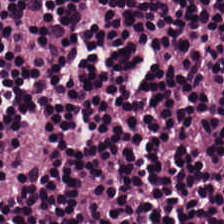Stain: H&E-stained tissue section.
Classification: lymphocytes.
